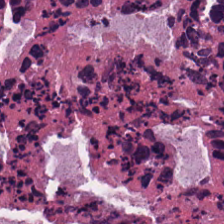H&E stain — Classification — cellular debris.
